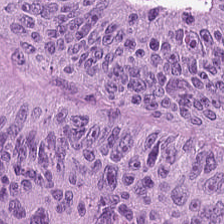H&E-stained tissue section — This patch shows tumor epithelium.
